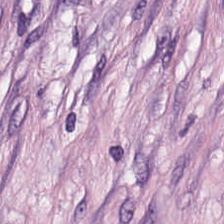Hematoxylin-and-eosin stained section — This patch shows tumor-associated stroma.
